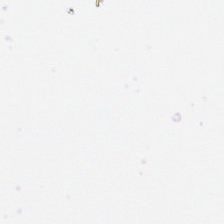Hematoxylin and eosin. No tissue present; background only.
